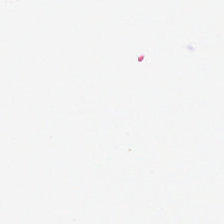H&E — Classification: background.
